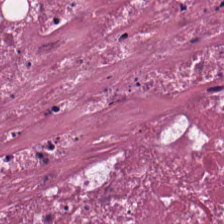H&E stain. Finding — cellular debris.
